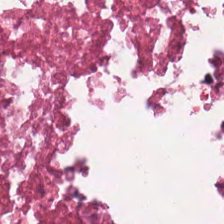Impression → necrotic debris.
